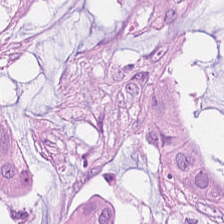Stain: H&E.
Tile size: 224×224 px patch.
Preparation: FFPE tissue section.
Classification: colorectal adenocarcinoma.
